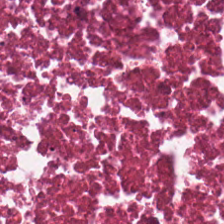H&E-stained tissue section — Q: What tissue type is shown here?
A: The field shows debris.
